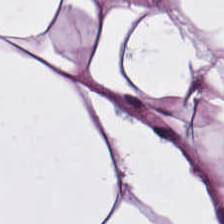Impression → adipocytes.
